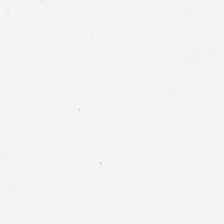0.5 µm per pixel · hematoxylin and eosin · formalin-fixed paraffin-embedded section.
Q: Classify this patch.
A: It is background (no tissue).
